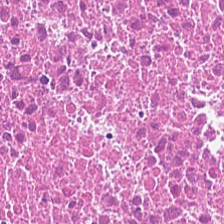H&E — Q: What is the predominant tissue type?
A: Cellular debris.
